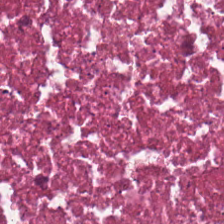Hematoxylin and eosin — The predominant tissue is debris.
